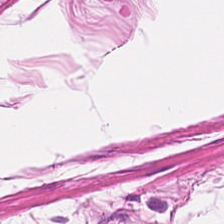H&E-stained tissue section.
Smooth-muscle tissue.
